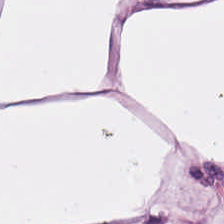H&E. WSI patch.
The tissue is adipocytes.
